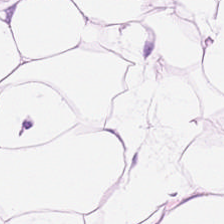H&E-stained tissue section — Tissue type = adipose tissue.
